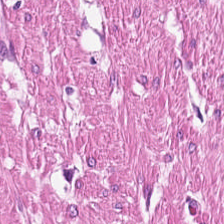H&E stain. The classification is smooth muscle.
